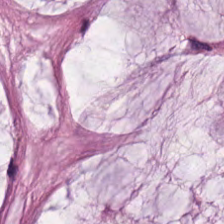0.5 µm/px · H&E — Predominantly extracellular mucin.
